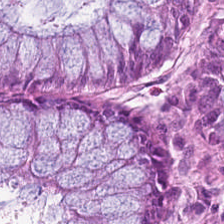Stain: hematoxylin-and-eosin stained section.
Preparation: FFPE.
Acquisition: brightfield microscopy.
Classification: non-neoplastic colon mucosa.
